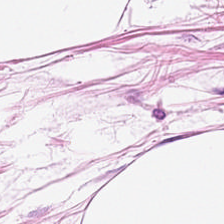Hematoxylin and eosin · brightfield · FFPE. Tissue class = fat tissue.
